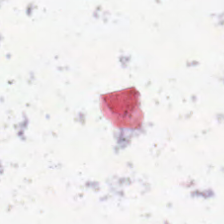H&E; 224×224 px tile — {"content": "no tissue"}
